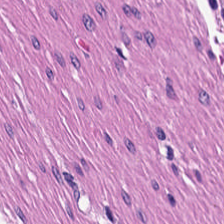H&E stain. Formalin-fixed paraffin-embedded section. Predominant tissue: smooth muscle.
